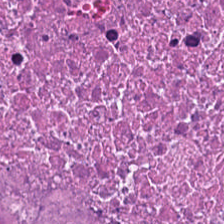FFPE tissue section · hematoxylin and eosin — The tissue here is cellular debris.
